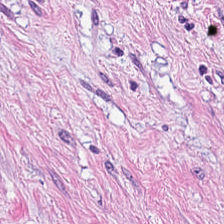Histology → tumor stroma.
